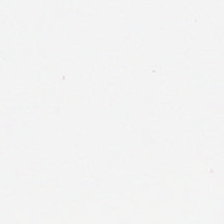Stain: H&E stain.
Field content: no tissue.
